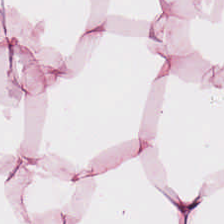H&E stain. Q: What is the predominant tissue type?
A: It is fat tissue.
